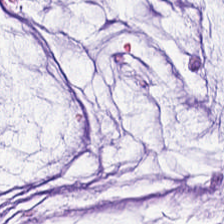Whole-slide-image patch; FFPE tissue section; hematoxylin and eosin. Mucus.
